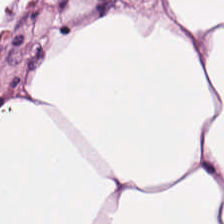Hematoxylin-and-eosin stained section. Predominant tissue = adipose tissue.
